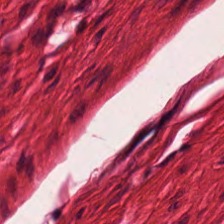H&E.
Q: What type of tissue is this?
A: The field shows smooth muscle.
